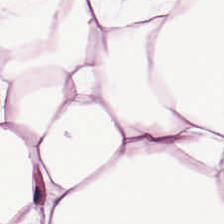H&E — Showing adipose tissue.
